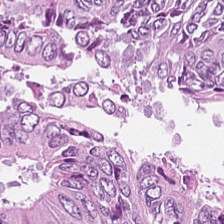Stain: hematoxylin-and-eosin stained section.
Tissue: colorectal adenocarcinoma epithelium.
